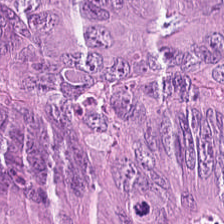Hematoxylin-and-eosin stained section — Tissue class — adenocarcinoma.
